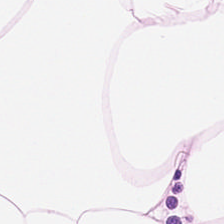Tissue type = fat tissue.
